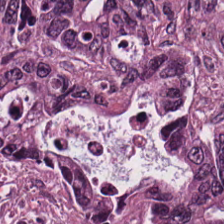H&E-stained tissue section — Colorectal adenocarcinoma epithelium.
